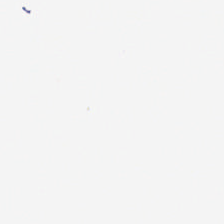H&E stain · formalin-fixed paraffin-embedded section · brightfield. This field is background (no tissue).
